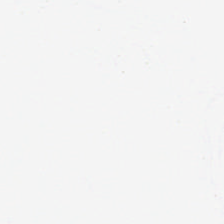Hematoxylin-and-eosin stained section; 224×224 px patch — Content — background (no tissue).
